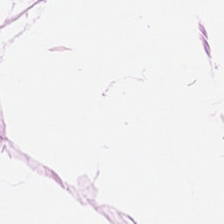Hematoxylin-and-eosin stained section. WSI patch. 0.5 microns per pixel — Showing adipocytes.
